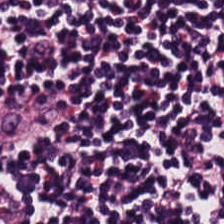224×224 px tile. 0.5 microns per pixel. H&E-stained tissue section. This patch shows lymphocyte aggregate.
